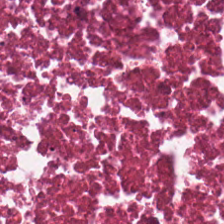H&E stain.
Q: Identify the tissue.
A: Cellular debris.
